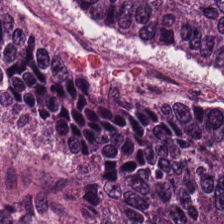Histology — adenocarcinoma.
